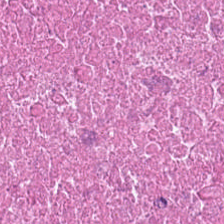Stain: H&E-stained tissue section.
Tile size: 224×224 px tile.
Resolution: 0.5 µm/px.
Tissue class: cellular debris.
